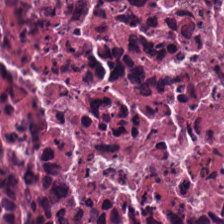H&E stain — Q: What tissue is shown?
A: It is cellular debris.
